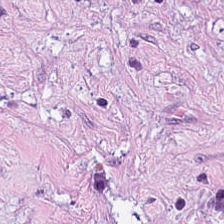FFPE tissue section; hematoxylin and eosin. Tissue: cancer-associated stroma.
